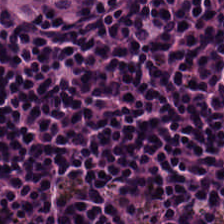Hematoxylin-and-eosin stained section — Showing lymphoid infiltrate.
